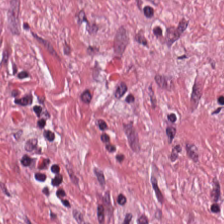Impression — cancer-associated stroma.
